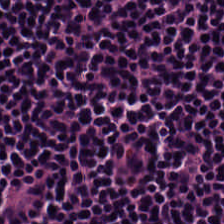The classification is lymphocyte aggregate.
